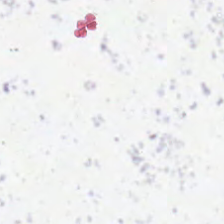Background — no tissue in this field.
